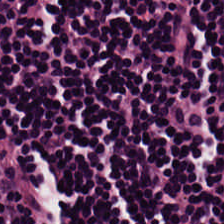H&E-stained tissue section — Impression — lymphoid infiltrate.
